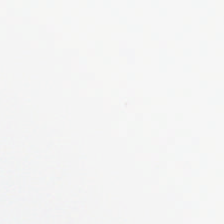Field content — no tissue.
